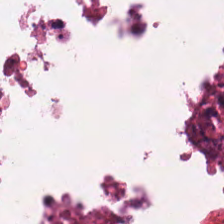0.5 µm per pixel · H&E-stained tissue section — The predominant tissue is cellular debris.
